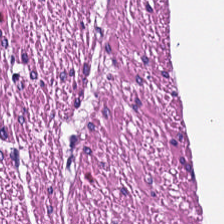H&E-stained tissue section. 0.5 microns per pixel. {"tissue_type": "muscularis"}
